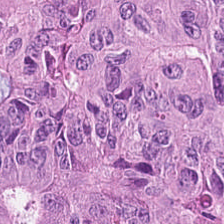Hematoxylin-and-eosin stained section. 224×224 px patch — Classification — adenocarcinoma.
